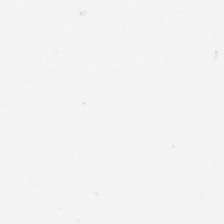Q: What is shown here?
A: This is empty background.
